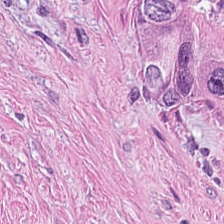FFPE; H&E stain; 224×224 pixel tile. Tissue — tumor stroma.
